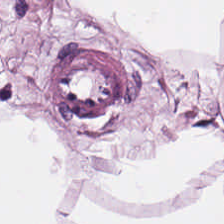H&E-stained tissue section.
Impression — adipocytes.
